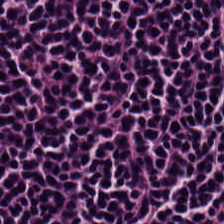H&E — Classification — lymphocyte aggregate.
